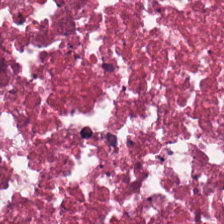Hematoxylin-and-eosin stained section. FFPE tissue section — Classification — necrotic debris.
